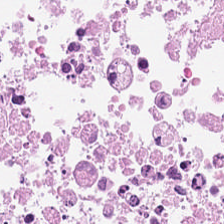H&E stain · 0.5 microns per pixel. Q: Classify this patch.
A: It is debris.
